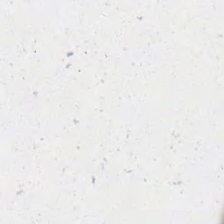Stain: hematoxylin and eosin.
Acquisition: WSI patch.
Classification: no tissue.
